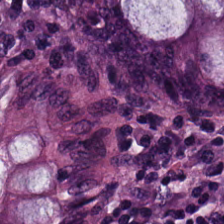Hematoxylin and eosin — Showing benign colonic mucosa.
